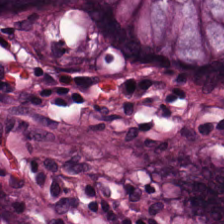H&E-stained tissue section showing normal colonic mucosa.
